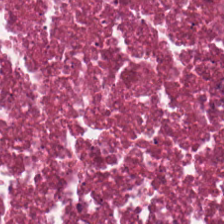Tissue = necrotic debris.
